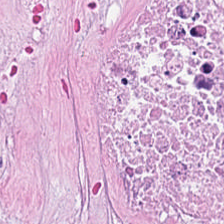Hematoxylin-and-eosin stained section. This field is debris.
